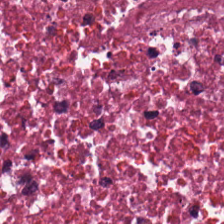H&E stain — This patch shows necrotic debris.
